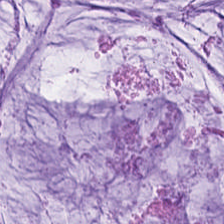{"tissue_type": "mucus"}
